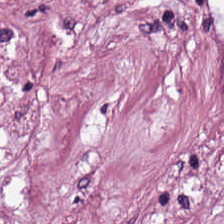FFPE tissue section. H&E. 0.5 µm per pixel — The predominant tissue is desmoplastic stroma.
